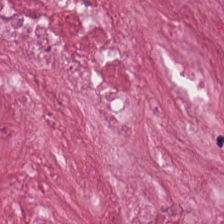Brightfield microscopy · H&E stain.
Q: Identify the tissue.
A: The field shows tumor-associated stroma.
